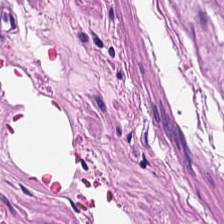H&E stain.
The predominant tissue is smooth muscle.
